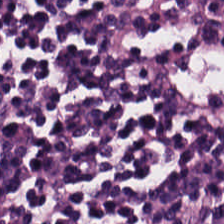Stain: hematoxylin-and-eosin stained section.
Classification: lymphocytic infiltrate.
